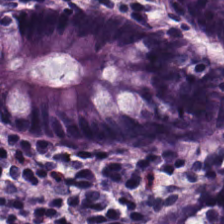Stain: H&E stain.
Predominant tissue: normal colonic mucosa.
